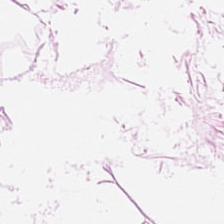H&E stain — Q: What tissue type is shown here?
A: Adipocytes.
